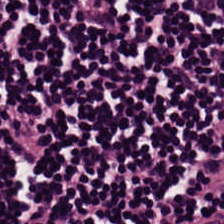Stain: hematoxylin-and-eosin stained section.
Resolution: 0.5 microns per pixel.
Acquisition: brightfield microscopy.
Tissue class: lymphocytic infiltrate.
